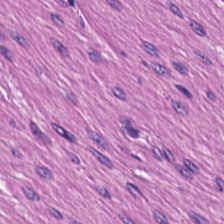H&E — Q: What is shown in this field?
A: This is smooth muscle.
